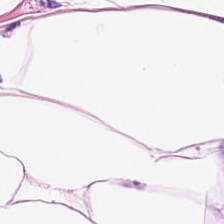Hematoxylin and eosin — Histology — adipocytes.
